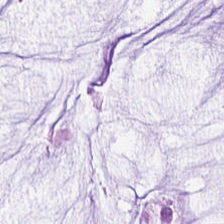H&E stain. Showing mucus.
